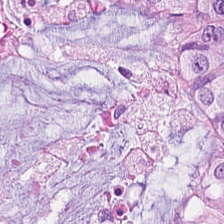H&E.
Impression → adenocarcinoma.
